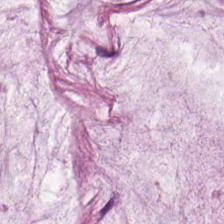0.5 µm per pixel; hematoxylin and eosin; formalin-fixed paraffin-embedded section.
The tissue here is extracellular mucin.
